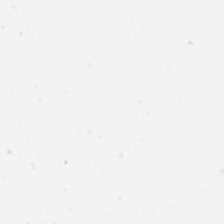Stain: H&E stain.
Field content: background (no tissue).
